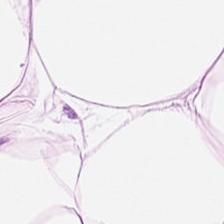Brightfield. H&E-stained tissue section — The classification is adipose.
